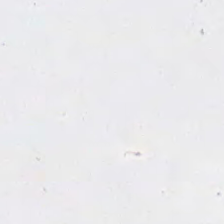Hematoxylin and eosin. 0.5 µm per pixel — This field is background (no tissue).
